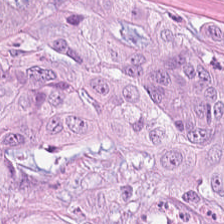Stain: H&E-stained tissue section.
Resolution: 0.5 µm per pixel.
Acquisition: brightfield.
Tissue class: tumor epithelium.
